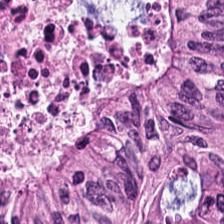H&E stain; formalin-fixed paraffin-embedded section. Tumor epithelium.
